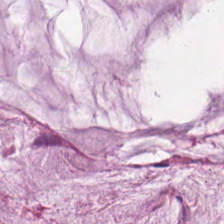Hematoxylin-and-eosin stained section — Predominantly extracellular mucin.
